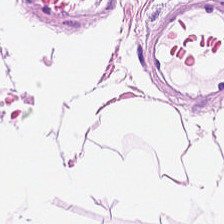H&E; whole-slide-image patch — Tissue class = adipose.
